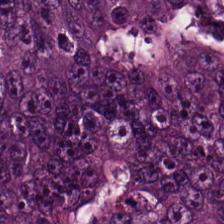Stain: H&E-stained tissue section.
Classification: malignant epithelium.
